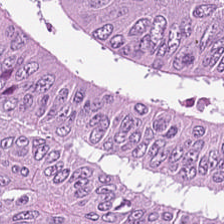Hematoxylin-and-eosin stained section. 224×224 px tile. Predominantly tumor epithelium.
